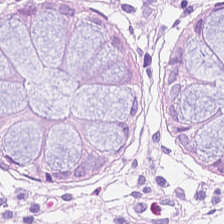Tissue type: normal colonic mucosa.
